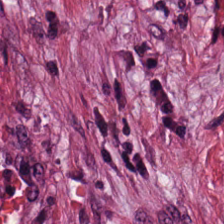Hematoxylin-and-eosin stained section · formalin-fixed paraffin-embedded section · brightfield microscopy. Q: What is the predominant tissue type?
A: This is desmoplastic stroma.
